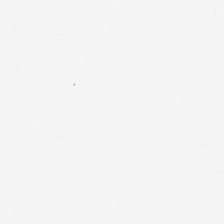Formalin-fixed paraffin-embedded section; 0.5 microns per pixel; hematoxylin-and-eosin stained section — Content: background.
